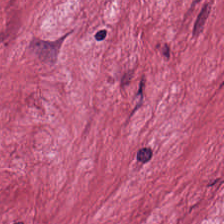H&E.
{"tissue_type": "tumor stroma"}
